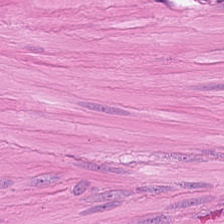Smooth-muscle tissue.
